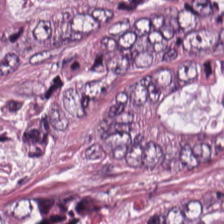H&E stain; 224×224 px tile.
Showing adenocarcinoma.
